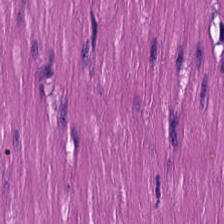H&E stain. Tissue class — smooth-muscle tissue.
